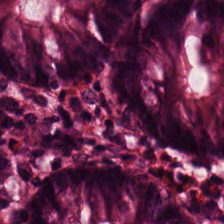H&E-stained tissue section; whole-slide-image patch — The predominant tissue is normal colon mucosa.
